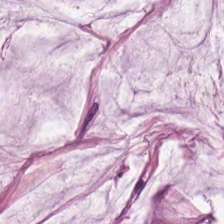224×224 px tile; H&E.
Histology — extracellular mucin.
